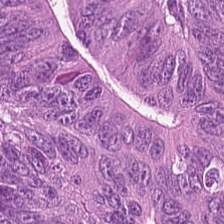H&E-stained tissue section · brightfield — Tissue type = colorectal adenocarcinoma epithelium.
